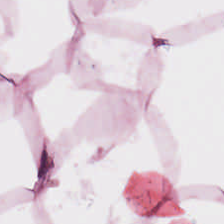The tissue type is fat tissue.
